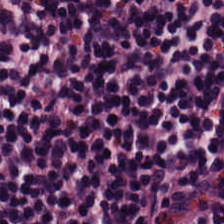Stain: H&E stain.
Tissue type: lymphocytic infiltrate.
